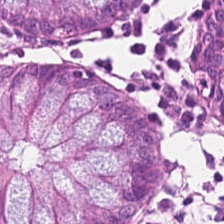Predominant tissue: normal colonic mucosa.
